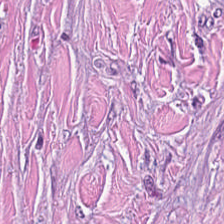Hematoxylin-and-eosin stained section. 224×224 px tile. The predominant tissue is desmoplastic stroma.
